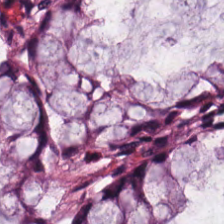H&E-stained tissue section — Non-neoplastic colon mucosa.
